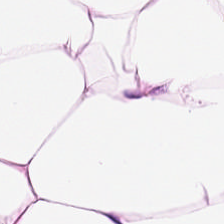Hematoxylin and eosin.
Finding — fat tissue.
